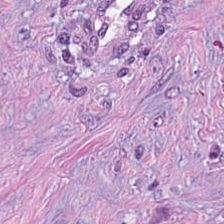H&E-stained tissue section.
Impression — desmoplastic stroma.
